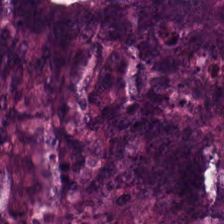H&E stain. Brightfield.
Classification — tumor epithelium.
